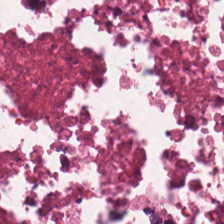0.5 µm per pixel · H&E stain · FFPE — Tissue type — necrotic debris.
